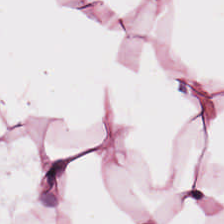H&E-stained tissue section · FFPE.
This patch shows adipose.
